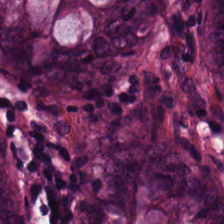H&E stain · brightfield microscopy.
Classification — normal colon mucosa.
